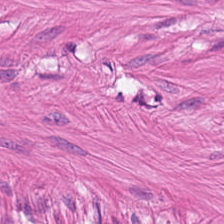The tissue here is smooth muscle.
